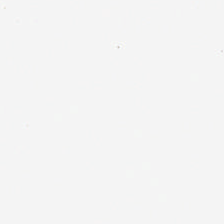Whole-slide-image patch; hematoxylin and eosin.
Background — no tissue in this field.
